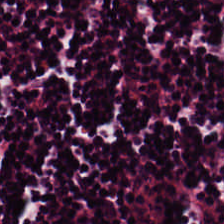H&E. The predominant tissue is lymphocytic infiltrate.
